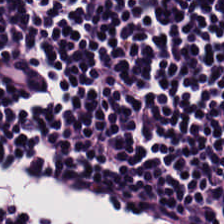H&E stain · WSI patch.
Q: Classify this patch.
A: Lymphocytic infiltrate.
